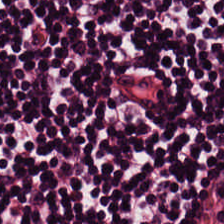H&E-stained tissue section. Tissue = lymphocyte aggregate.
